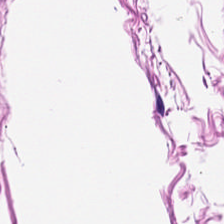Hematoxylin-and-eosin stained section.
Showing muscularis.
